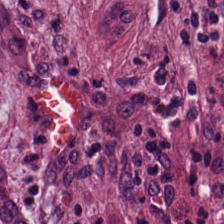FFPE; H&E-stained tissue section. Impression — cancer-associated stroma.
